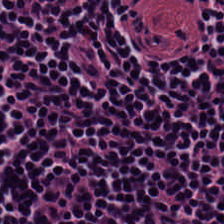Hematoxylin-and-eosin stained section — The predominant tissue is lymphocytes.
